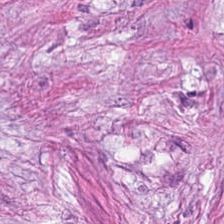{"tissue_type": "cancer-associated stroma"}
